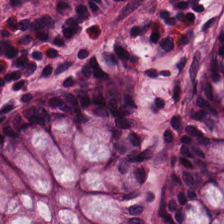Whole-slide-image patch. H&E.
The tissue here is benign colonic mucosa.
